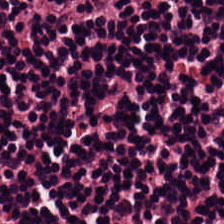This field is lymphoid infiltrate.
